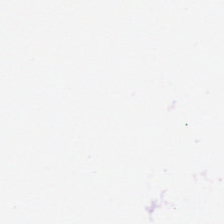Hematoxylin and eosin — This field is background (no tissue).
